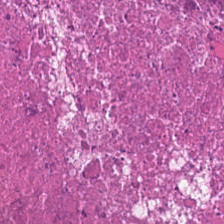Hematoxylin-and-eosin stained section · WSI patch. Predominant tissue: necrotic debris.
